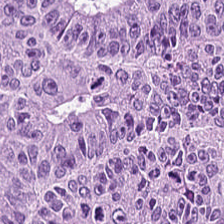Whole-slide-image patch. Hematoxylin-and-eosin stained section. Adenocarcinoma.
